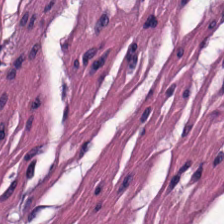0.5 µm per pixel. H&E-stained tissue section.
Predominant tissue — smooth-muscle tissue.
